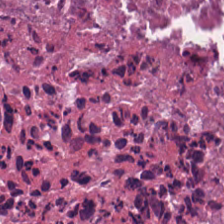Hematoxylin-and-eosin section: cellular debris.
